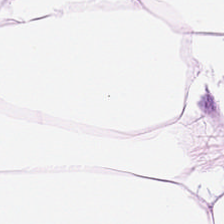H&E-stained tissue section.
{"tissue_type": "adipose tissue"}
